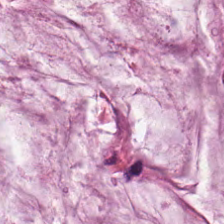Q: What is the predominant tissue type?
A: Extracellular mucin.
